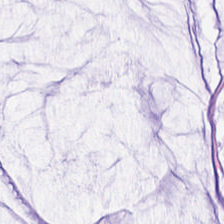Formalin-fixed paraffin-embedded section. H&E stain. 224×224 px patch — Histology — extracellular mucin.
